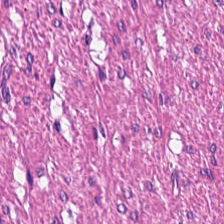224×224 px tile; H&E stain.
The tissue here is muscularis.
